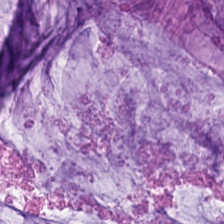H&E · brightfield. {"tissue_type": "mucus"}
